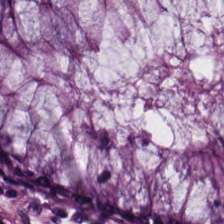224×224 pixel tile; hematoxylin and eosin; brightfield — Classification — normal colon mucosa.
